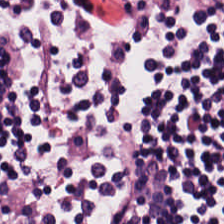H&E — lymphocytic infiltrate.
